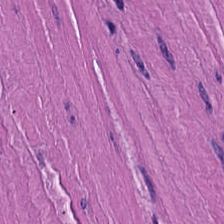0.5 µm/px · H&E-stained tissue section · 224×224 pixel tile. Impression — smooth-muscle tissue.
